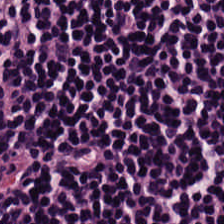FFPE tissue section. 224×224 px patch. H&E stain.
Tissue type — lymphocytes.
